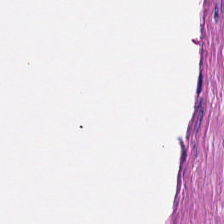H&E.
Predominant tissue = muscularis.
